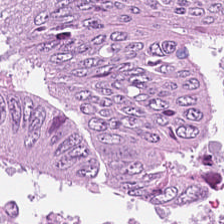20× equivalent magnification; hematoxylin and eosin. Predominant tissue — tumor epithelium.
